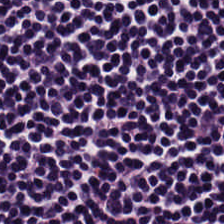H&E; 0.5 microns per pixel.
{"tissue_type": "lymphocyte aggregate"}
